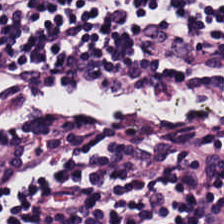H&E stain.
The predominant tissue is lymphocytes.
